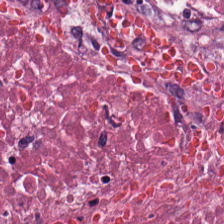Stain: H&E.
Tissue type: necrotic debris.
